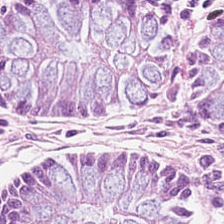0.5 µm per pixel; hematoxylin-and-eosin stained section.
Predominantly normal colon mucosa.
